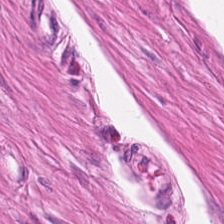Stain: H&E.
Tile size: 224×224 pixel tile.
Acquisition: brightfield microscopy.
Tissue class: smooth muscle.
